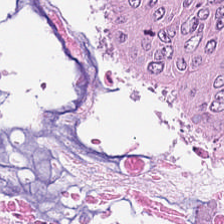H&E stain — Impression → colorectal adenocarcinoma epithelium.
